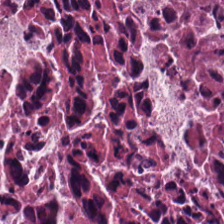H&E.
{"tissue_type": "necrotic debris"}
